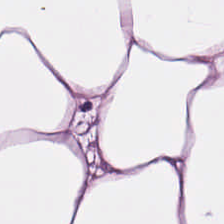Stain: H&E-stained tissue section.
Tissue: adipocytes.
